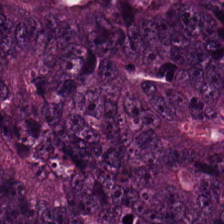Stain: hematoxylin-and-eosin stained section.
Predominant tissue: colorectal adenocarcinoma.
